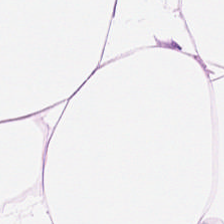Hematoxylin and eosin. Classification — adipose tissue.
